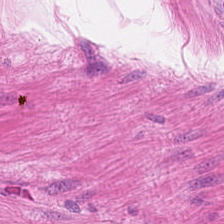H&E · 224×224 px tile. Histology — smooth muscle.
